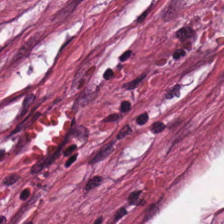Stain: H&E stain.
Tissue type: desmoplastic stroma.
